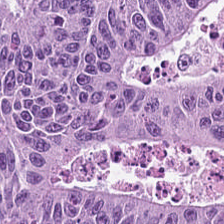The predominant tissue is colorectal adenocarcinoma epithelium.
